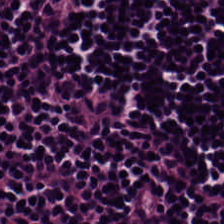H&E. The tissue class is lymphoid infiltrate.
